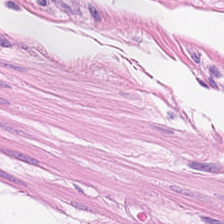Hematoxylin and eosin.
The tissue here is muscularis.
